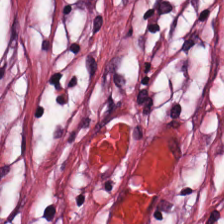Hematoxylin-and-eosin stained section. Predominantly desmoplastic stroma.
